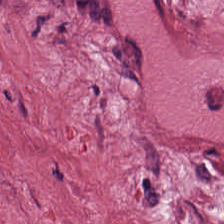224×224 px tile · hematoxylin-and-eosin stained section.
This patch shows desmoplastic stroma.
